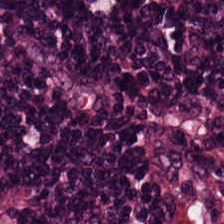H&E stain. Tissue type = lymphoid infiltrate.
